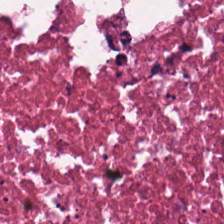224×224 pixel tile. Hematoxylin-and-eosin stained section. Q: What is the predominant tissue type?
A: Debris.
